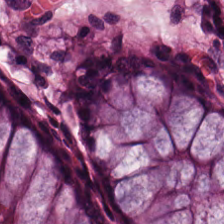Brightfield microscopy · H&E-stained tissue section · FFPE. Predominantly normal colon mucosa.
